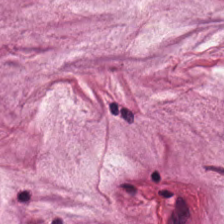H&E stain.
Q: Classify this patch.
A: This is mucus.
